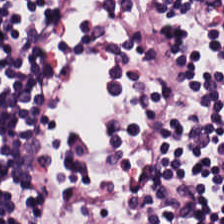224×224 px patch · H&E-stained tissue section. This patch shows lymphocytic infiltrate.
